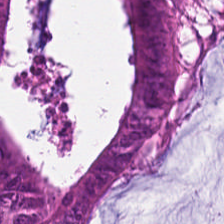Formalin-fixed paraffin-embedded section · H&E stain.
Tissue type — tumor epithelium.
